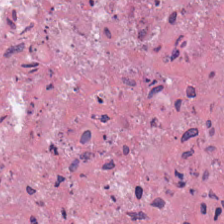H&E stain. 224×224 px tile.
The tissue here is debris.
